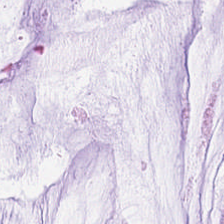FFPE; hematoxylin-and-eosin stained section; brightfield — This patch shows extracellular mucin.
